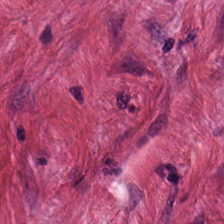H&E stain. Finding → tumor stroma.
